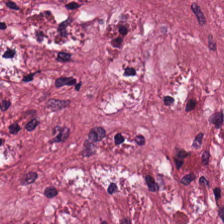H&E stain — The tissue is desmoplastic stroma.
